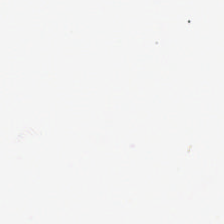H&E-stained tissue section.
The content is background.
